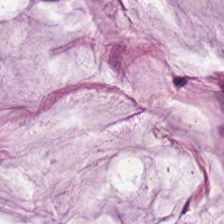Q: What tissue is shown?
A: The field shows mucin.
